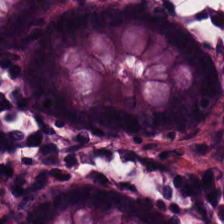H&E — This field is normal colon mucosa.
